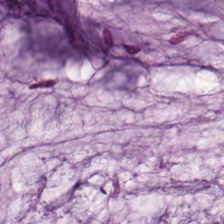H&E stain.
Classification: mucin.
